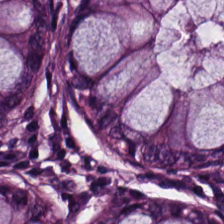Non-neoplastic colon mucosa.
